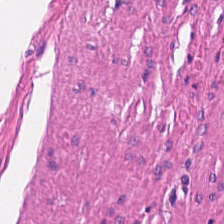H&E — The tissue here is smooth muscle.
